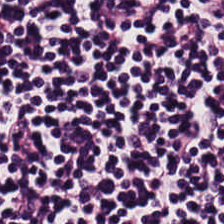20× equivalent magnification · hematoxylin and eosin.
The tissue type is lymphocytic infiltrate.
